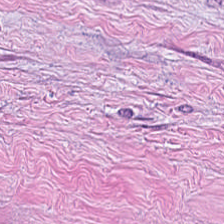The tissue here is tumor-associated stroma.
